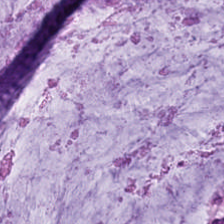Impression — mucus.
